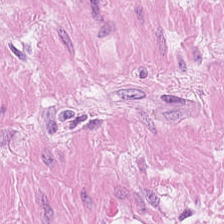H&E stain · 224×224 px tile · 20× equivalent magnification.
The predominant tissue is smooth muscle.
